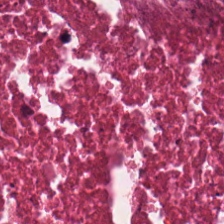Classification = cellular debris.
